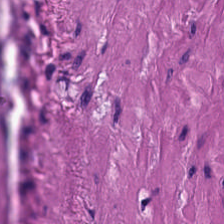Hematoxylin-and-eosin stained section. 224×224 px patch. {"tissue_type": "smooth-muscle tissue"}
